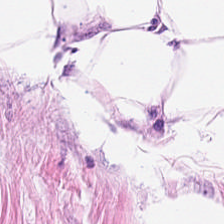Hematoxylin and eosin.
This patch shows adipocytes.
